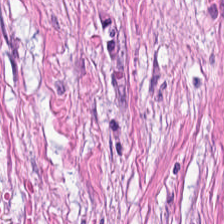H&E-stained tissue section.
Classification: desmoplastic stroma.
